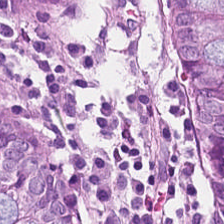H&E — normal colonic mucosa.
